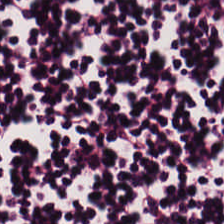Q: What type of tissue is this?
A: The field shows lymphocyte aggregate.
